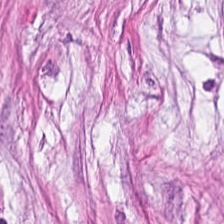Hematoxylin-and-eosin section: tumor-associated stroma.
